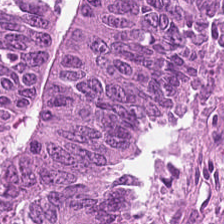224×224 pixel tile · 0.5 µm/px · H&E-stained tissue section — {"tissue_type": "colorectal adenocarcinoma epithelium"}
